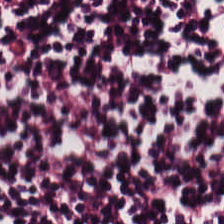H&E stain. Whole-slide-image patch. Q: Classify this patch.
A: Lymphocyte aggregate.
